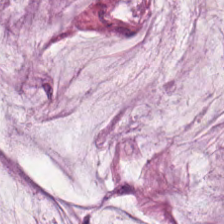H&E-stained tissue section.
Tissue type = mucin.
